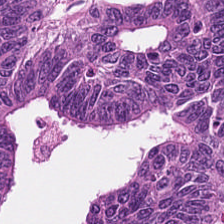H&E stain. 20× equivalent magnification. Predominantly colorectal adenocarcinoma.
